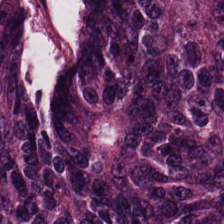H&E-stained tissue section — Q: Classify this patch.
A: It is adenocarcinoma.
